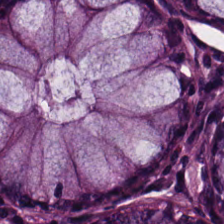Q: What is shown here?
A: It is benign colonic mucosa.
